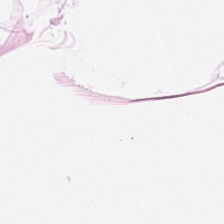224×224 px patch; hematoxylin and eosin.
Predominant tissue = adipose tissue.
